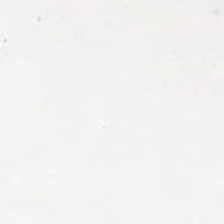Hematoxylin and eosin.
No tissue.
